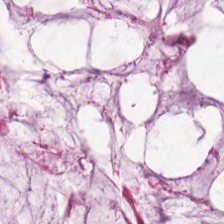Hematoxylin-and-eosin stained section.
This field is mucin.
